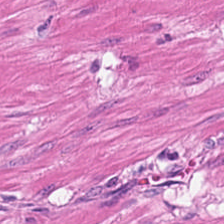Hematoxylin-and-eosin stained section — This field is smooth muscle.
